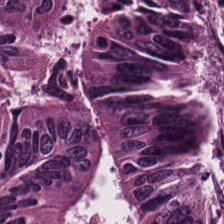224×224 px tile · hematoxylin-and-eosin stained section. Q: What does this patch show?
A: Colorectal adenocarcinoma epithelium.
